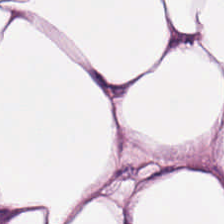H&E stain. Q: What tissue type is shown here?
A: The field shows adipose.
